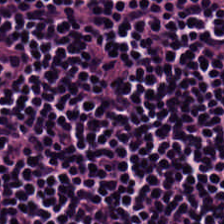H&E-stained tissue section — {"tissue_type": "lymphoid infiltrate"}
